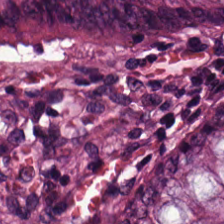0.5 microns per pixel · H&E. The tissue here is non-neoplastic colon mucosa.
